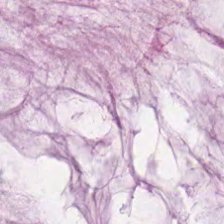H&E-stained tissue section — Showing mucus.
